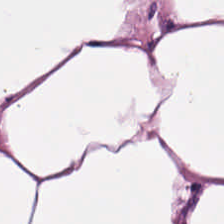WSI patch. Hematoxylin-and-eosin stained section.
Predominantly adipose.
